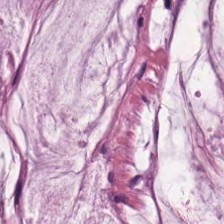Hematoxylin and eosin · 224×224 px patch · 20× equivalent magnification.
Predominantly mucus.
